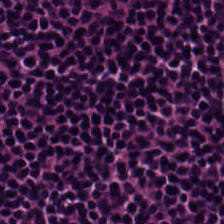Lymphoid infiltrate.
